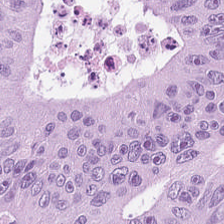H&E stain — Tissue — colorectal adenocarcinoma epithelium.
